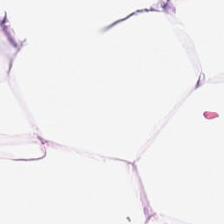{"tissue_type": "fat tissue"}
